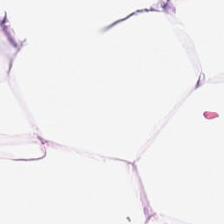{"tissue_type": "fat tissue"}
